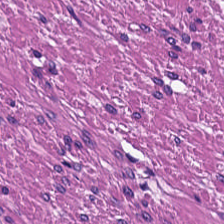Hematoxylin-and-eosin stained section — Histology → muscularis.
